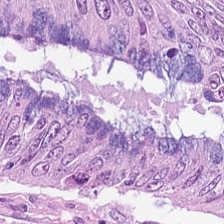Brightfield microscopy. FFPE tissue section. Hematoxylin and eosin.
Predominant tissue = tumor epithelium.
